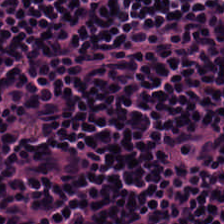H&E stain · WSI patch. Q: What type of tissue is this?
A: It is lymphocytic infiltrate.
